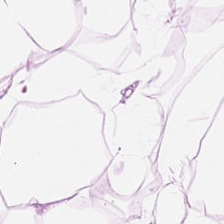Predominant tissue: adipocytes.
